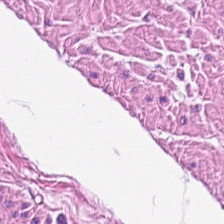Tissue class = smooth-muscle tissue.
